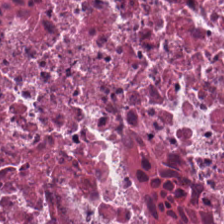{"tissue_type": "cellular debris"}
